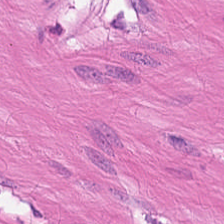H&E stain. Predominantly smooth-muscle tissue.
